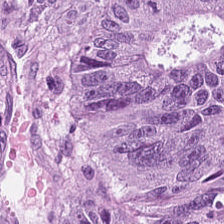H&E. 224×224 px patch — Showing tumor epithelium.
